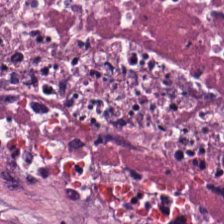224×224 pixel tile; H&E-stained tissue section — The tissue here is necrotic debris.
